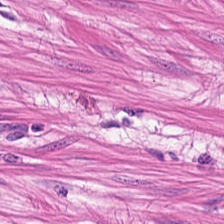H&E stain · brightfield microscopy · 0.5 µm/px. The tissue class is smooth-muscle tissue.
